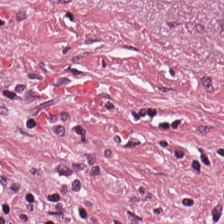Hematoxylin and eosin · WSI patch — Showing desmoplastic stroma.
